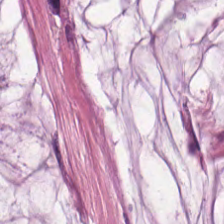Brightfield microscopy. H&E. Histology → mucin.
